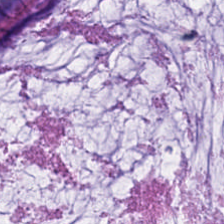Mucin.
